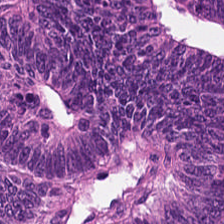Hematoxylin-and-eosin stained section. Q: What is the predominant tissue type?
A: Malignant epithelium.
